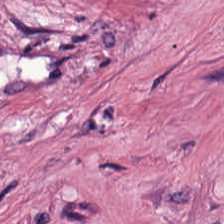Hematoxylin-and-eosin section: tumor-associated stroma.
